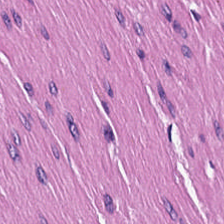FFPE tissue section; H&E-stained tissue section.
Predominantly muscularis.
